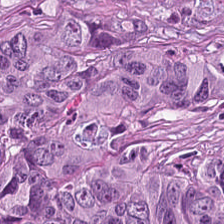Tissue — malignant epithelium.
